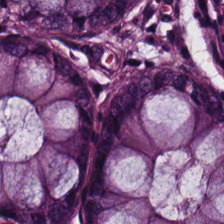H&E-stained tissue section — Predominantly normal colon mucosa.
